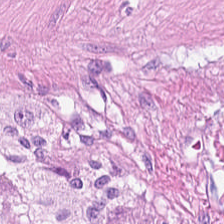Stain: H&E-stained tissue section.
Predominant tissue: smooth-muscle tissue.
